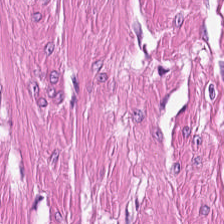H&E-stained tissue section — Tissue type = muscularis.
